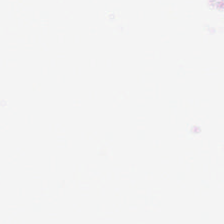H&E stain. Background — no tissue in this field.
